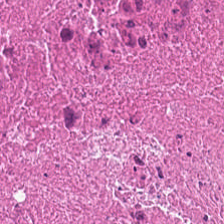H&E stain. Finding → necrotic debris.
